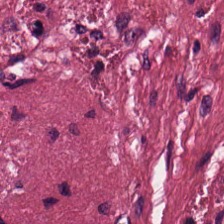Hematoxylin and eosin; brightfield — Tumor-associated stroma.
